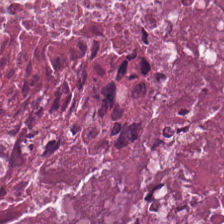0.5 µm/px; hematoxylin and eosin; formalin-fixed paraffin-embedded section. Impression → cellular debris.
